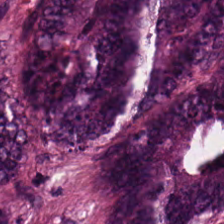Hematoxylin and eosin — Tissue type — tumor epithelium.
